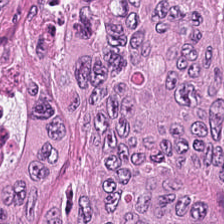H&E.
This field is tumor epithelium.
